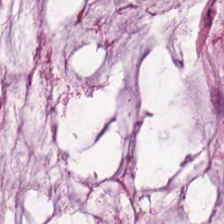H&E — Q: What is shown in this field?
A: This is extracellular mucin.
